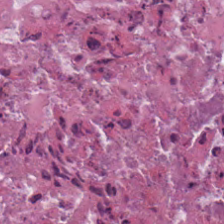0.5 microns per pixel. H&E-stained tissue section — Histology — necrotic debris.
